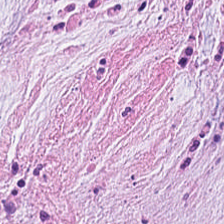Finding → desmoplastic stroma.
